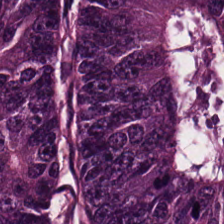H&E; brightfield microscopy. Impression → malignant epithelium.
